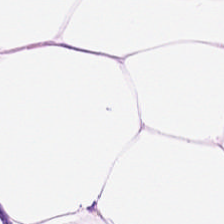H&E stain. 0.5 µm per pixel.
This field is adipose.
